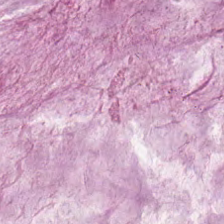224×224 px tile · hematoxylin and eosin.
Predominantly mucin.
